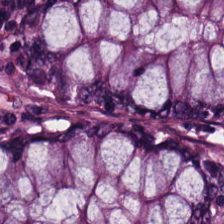Stain: hematoxylin-and-eosin stained section.
Resolution: 0.5 µm/px.
Classification: normal colon mucosa.
